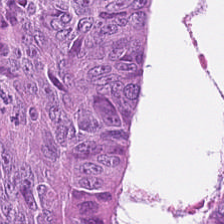Hematoxylin and eosin. Q: Identify the tissue.
A: Tumor epithelium.
